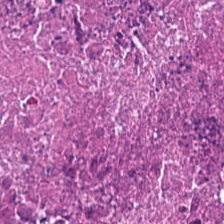Q: What is shown here?
A: The field shows debris.
